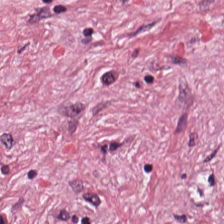H&E-stained tissue section.
Tissue class = tumor stroma.
